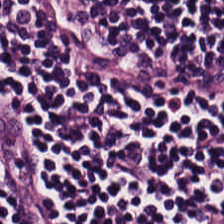H&E-stained tissue section — The predominant tissue is lymphocytes.
